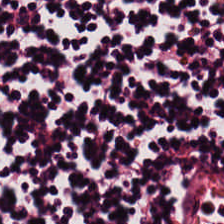Stain: hematoxylin-and-eosin stained section.
Tile size: 224×224 px tile.
Preparation: FFPE tissue section.
Tissue: lymphoid infiltrate.
